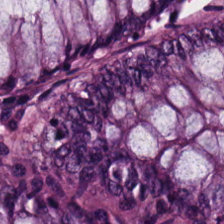H&E-stained section; the field shows normal colon mucosa.
